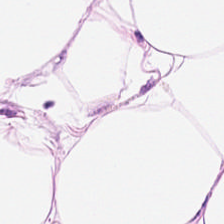The tissue type is adipose.
